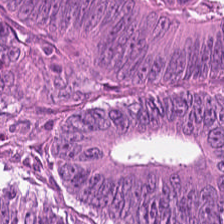FFPE; hematoxylin-and-eosin stained section. This patch shows malignant epithelium.
